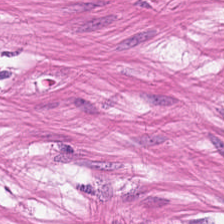Histology — muscularis.
